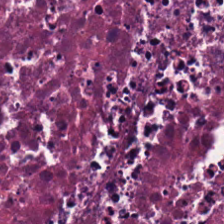H&E-stained tissue section showing necrotic debris.
